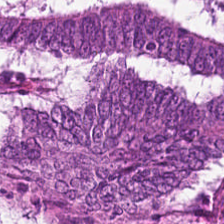Q: What is shown here?
A: It is colorectal adenocarcinoma.
